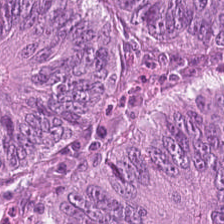Hematoxylin and eosin. The predominant tissue is adenocarcinoma.
